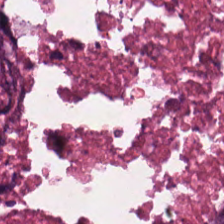Hematoxylin and eosin · 0.5 µm per pixel. Histology → debris.
